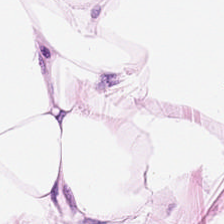Adipocytes.
